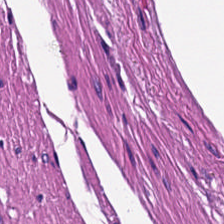Hematoxylin and eosin; 224×224 px tile. Showing smooth-muscle tissue.
